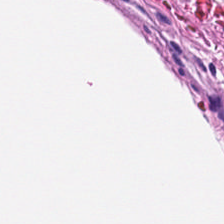The tissue is smooth-muscle tissue.
